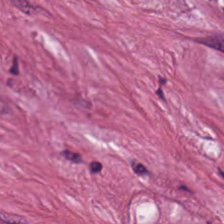FFPE. H&E-stained tissue section.
Q: Identify the tissue.
A: This is desmoplastic stroma.
